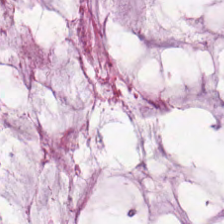H&E-stained tissue section — Impression — mucin.
